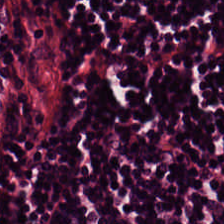The tissue here is lymphocyte aggregate.
